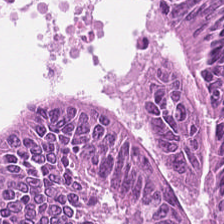Stain: H&E stain.
Tissue type: malignant epithelium.
